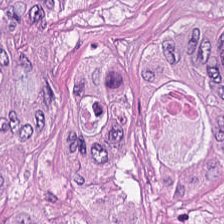{"tissue_type": "tumor epithelium"}
